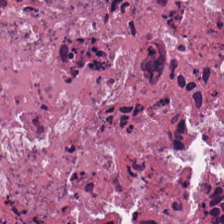Stain: H&E stain.
Tile size: 224×224 px patch.
Tissue class: necrotic debris.
